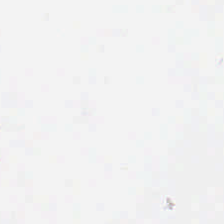Q: What is shown here?
A: It is empty background.
